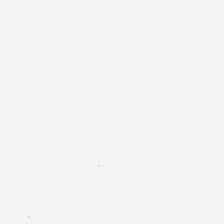20× equivalent magnification. H&E-stained tissue section. Formalin-fixed paraffin-embedded section.
Classification = background.
